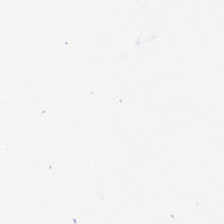Empty field — background.
